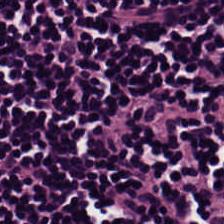Hematoxylin and eosin.
The tissue here is lymphocyte aggregate.
